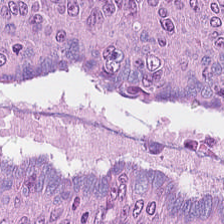Brightfield. H&E-stained tissue section. The predominant tissue is tumor epithelium.
